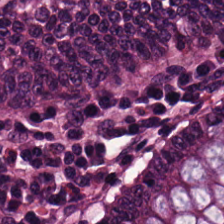H&E stain.
Showing benign colonic mucosa.
